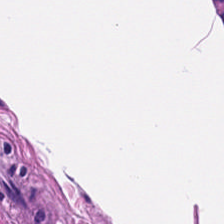Stain: H&E-stained tissue section.
Tissue type: muscularis.
